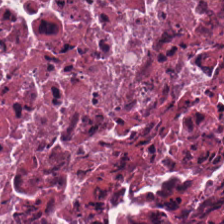Hematoxylin-and-eosin stained section. Q: Identify the tissue.
A: Debris.
